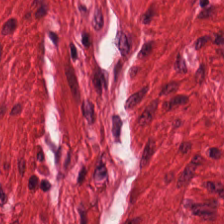Brightfield microscopy · H&E stain — {"tissue_type": "smooth-muscle tissue"}
